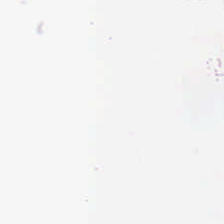Hematoxylin-and-eosin stained section. Content = empty background.
